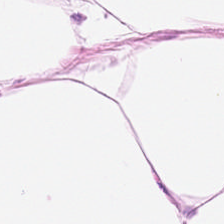FFPE. H&E-stained tissue section. Q: What tissue type is shown here?
A: The field shows fat tissue.
